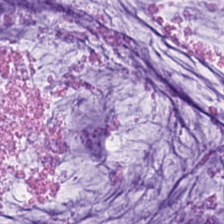The tissue class is extracellular mucin.
